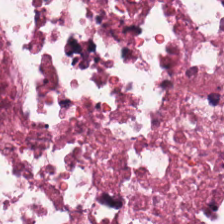Brightfield microscopy. FFPE tissue section. H&E stain — Histology → cellular debris.
